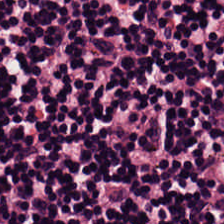Hematoxylin and eosin.
The tissue is lymphoid infiltrate.
